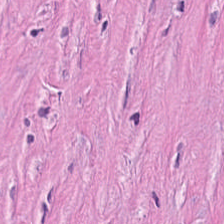Classification: desmoplastic stroma.
